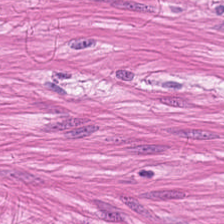H&E — Finding — muscularis.
